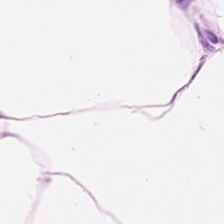Stain: H&E.
Tissue type: adipocytes.
